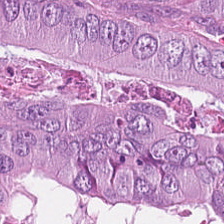FFPE. 224×224 px tile. Hematoxylin and eosin — The classification is adenocarcinoma.
